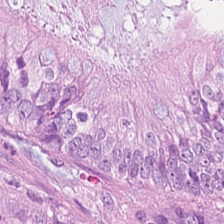H&E · brightfield. This field is colorectal adenocarcinoma epithelium.
